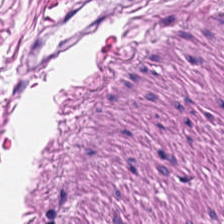Showing smooth-muscle tissue.
